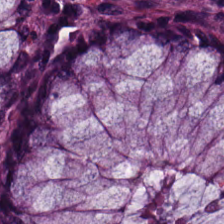H&E · WSI patch.
Q: Classify this patch.
A: Normal colon mucosa.
